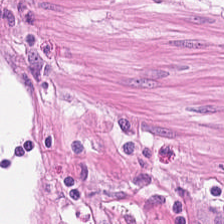H&E. Q: What is shown in this field?
A: The field shows muscularis.
